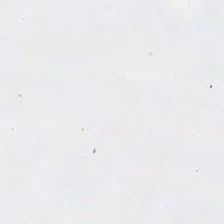H&E-stained tissue section. Field content: background.
